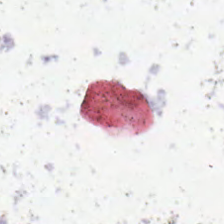H&E-stained tissue section — Finding — no tissue.
